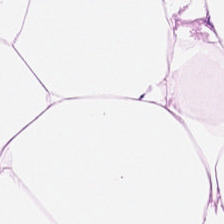Hematoxylin and eosin. The predominant tissue is adipocytes.
